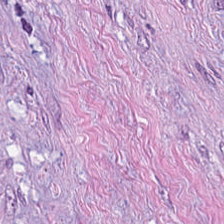Finding → tumor stroma.
